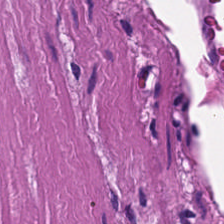H&E-stained tissue section; 0.5 µm per pixel; 224×224 px tile.
The predominant tissue is muscularis.
